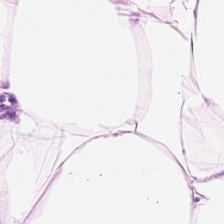H&E. Q: What tissue type is shown here?
A: This is adipocytes.
